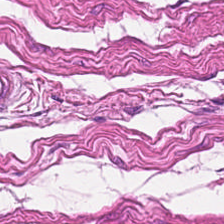Histology → smooth muscle.
